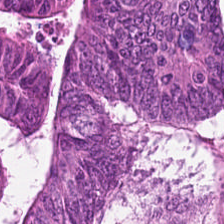H&E-stained tissue section showing colorectal adenocarcinoma.
